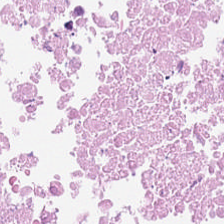H&E-stained tissue section showing necrotic debris.
